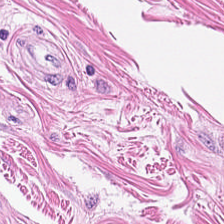FFPE; hematoxylin and eosin.
This patch shows smooth muscle.
